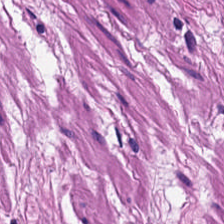H&E. This patch shows smooth-muscle tissue.
